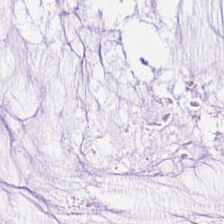H&E-stained section; the field shows mucus.
